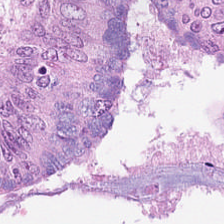Hematoxylin and eosin; 224×224 px tile — Colorectal adenocarcinoma epithelium.
